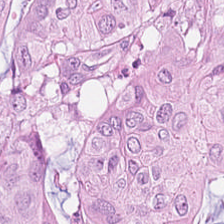H&E stain — Showing colorectal adenocarcinoma.
